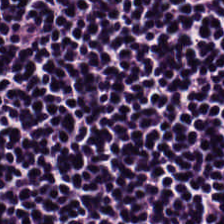WSI patch; formalin-fixed paraffin-embedded section; H&E-stained tissue section.
Histology → lymphocyte aggregate.
